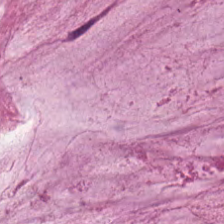Impression — extracellular mucin.
